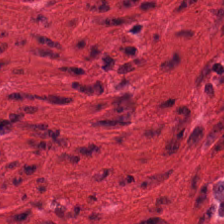H&E — {"tissue_type": "muscularis"}
